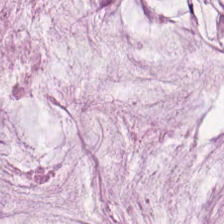Impression → mucin.
